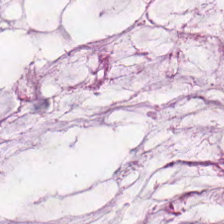H&E-stained tissue section.
Showing mucus.
